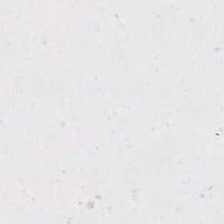H&E stain. Q: What is shown here?
A: This is background.
